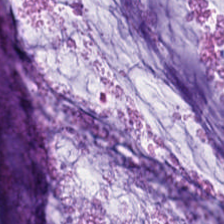H&E. Tissue: extracellular mucin.
